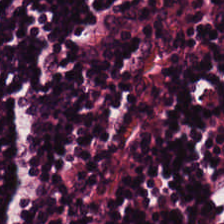Hematoxylin-and-eosin stained section. The predominant tissue is lymphocytic infiltrate.
